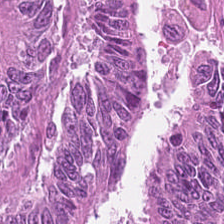Hematoxylin and eosin — The classification is adenocarcinoma.
